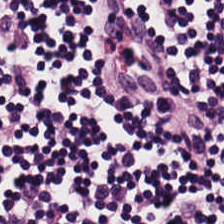H&E-stained tissue section · brightfield microscopy · formalin-fixed paraffin-embedded section — Finding — lymphoid infiltrate.
